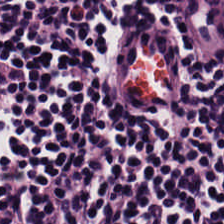H&E stain — Lymphocytes.
